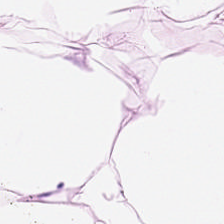Stain: H&E stain.
Classification: adipose tissue.
